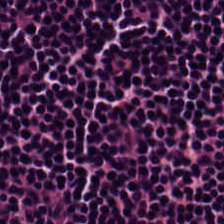Hematoxylin and eosin; 224×224 px tile — Lymphocytes.
